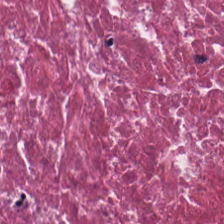Stain: H&E stain.
Classification: cellular debris.
